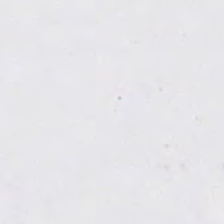Hematoxylin-and-eosin stained section.
Impression → background (no tissue).
